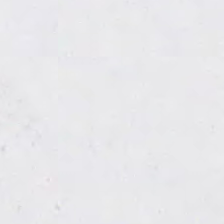Background — no tissue in this field.
